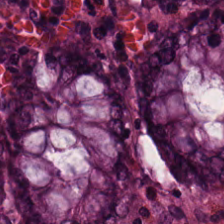H&E-stained section; the field shows non-neoplastic colon mucosa.
